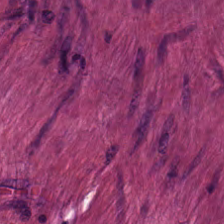H&E-stained tissue section. Q: What type of tissue is this?
A: This is smooth muscle.
